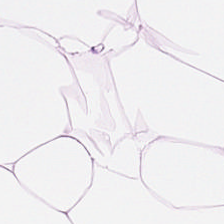H&E-stained tissue section. Q: What type of tissue is this?
A: This is adipose tissue.
